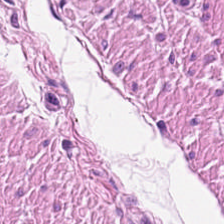Hematoxylin and eosin · 224×224 px patch — The predominant tissue is smooth muscle.
